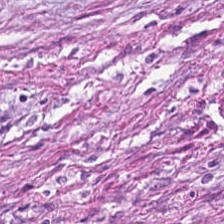Hematoxylin and eosin · brightfield microscopy. Cancer-associated stroma.
